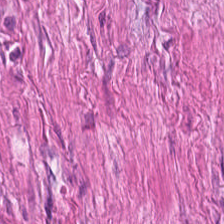Hematoxylin and eosin · 20× equivalent magnification · WSI patch.
Predominantly smooth muscle.
